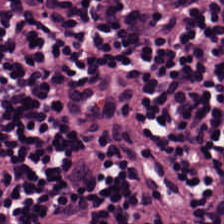224×224 px tile. WSI patch. H&E stain. Tissue class — lymphocytes.
